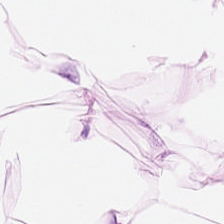Hematoxylin-and-eosin stained section. Q: What tissue type is shown here?
A: The field shows fat tissue.
